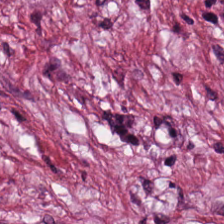{"tissue_type": "tumor stroma"}
